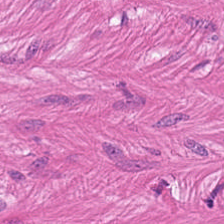Brightfield · hematoxylin-and-eosin stained section. Tissue class = smooth muscle.
